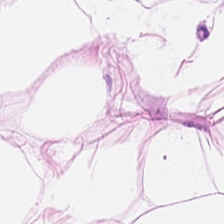Hematoxylin-and-eosin stained section — The tissue here is adipocytes.
